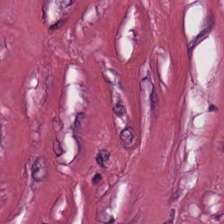Stain: H&E.
Preparation: FFPE tissue section.
Tissue class: cancer-associated stroma.
